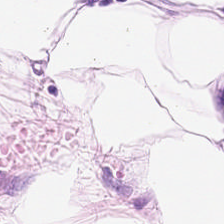H&E-stained tissue section; 0.5 µm/px — Adipose tissue.
